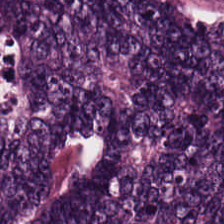H&E; 224×224 px tile; 20× equivalent magnification — Histology — colorectal adenocarcinoma.
